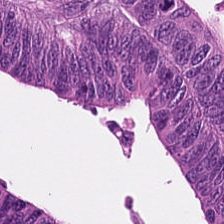Hematoxylin-and-eosin section: adenocarcinoma.
